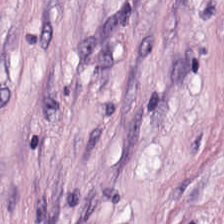FFPE · H&E stain.
Q: What is shown here?
A: It is tumor-associated stroma.
